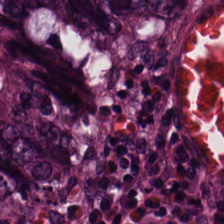Stain: hematoxylin-and-eosin stained section.
Tissue: malignant epithelium.
